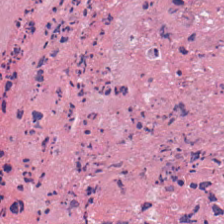This patch shows necrotic debris.
